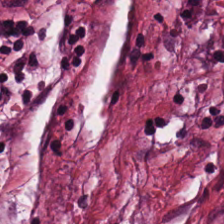Tumor stroma.
